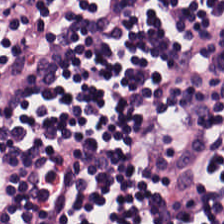The tissue is lymphocytic infiltrate.
